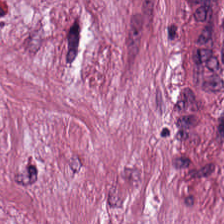H&E-stained tissue section. Histology — cancer-associated stroma.
